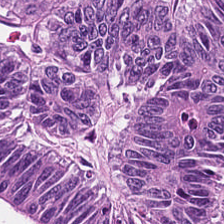This field is malignant epithelium.
